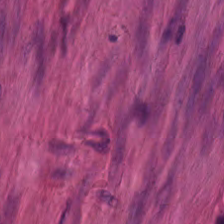H&E stain.
This field is smooth-muscle tissue.
